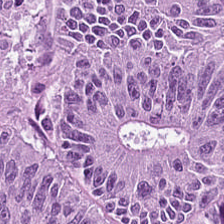Stain: H&E stain.
Acquisition: brightfield microscopy.
Preparation: formalin-fixed paraffin-embedded section.
Tissue type: colorectal adenocarcinoma.
